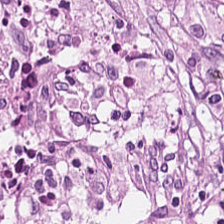Whole-slide-image patch. H&E-stained tissue section. 224×224 pixel tile — {"tissue_type": "desmoplastic stroma"}
